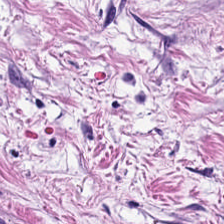224×224 px patch · hematoxylin and eosin · brightfield — The tissue class is tumor-associated stroma.
